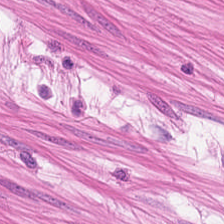224×224 pixel tile; 0.5 microns per pixel; H&E stain — Q: Classify this patch.
A: Smooth muscle.
